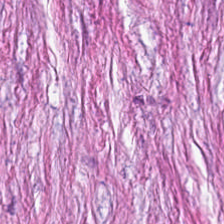H&E stain — This field is tumor stroma.
